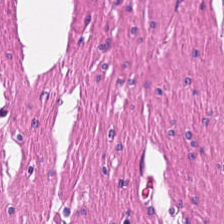H&E · 0.5 µm per pixel — Predominantly muscularis.
